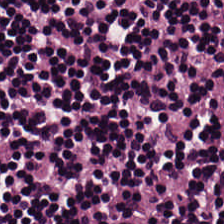WSI patch · hematoxylin and eosin — Predominantly lymphoid infiltrate.
